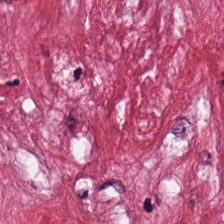Tissue type: tumor stroma.
